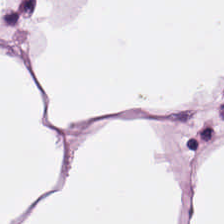H&E stain.
This patch shows adipocytes.
